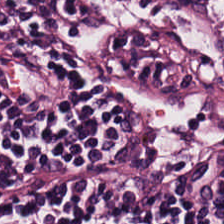Hematoxylin and eosin · 0.5 µm per pixel. This patch shows lymphocyte aggregate.
